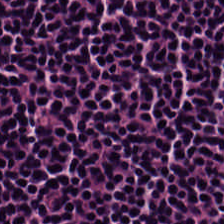The tissue is lymphocyte aggregate.
